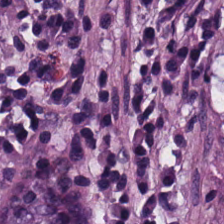H&E — The predominant tissue is normal colonic mucosa.
